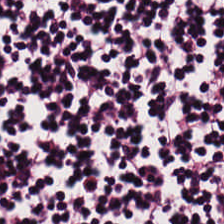The tissue is lymphocytes.
